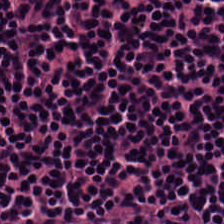Stain: H&E.
Tissue class: lymphocyte aggregate.
